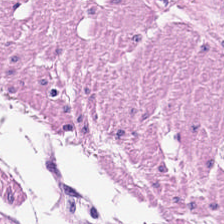Hematoxylin and eosin.
Histology — smooth-muscle tissue.
